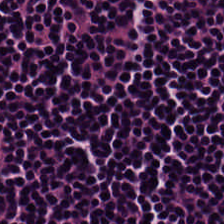Hematoxylin-and-eosin stained section.
The classification is lymphocyte aggregate.
